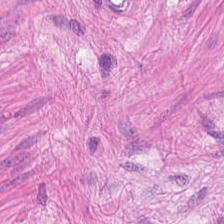WSI patch · H&E stain.
Showing muscularis.
